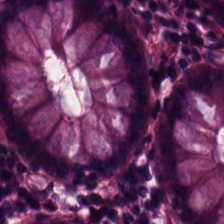H&E. 224×224 px patch. Showing benign colonic mucosa.
